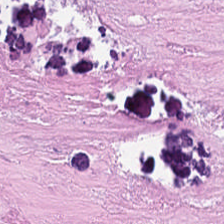H&E stain — Tissue = necrotic debris.
